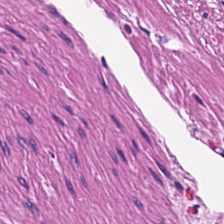H&E stain. Classification = smooth-muscle tissue.
